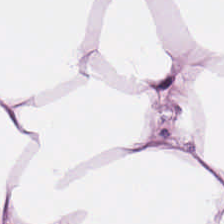H&E; 224×224 pixel tile. Predominantly adipocytes.
